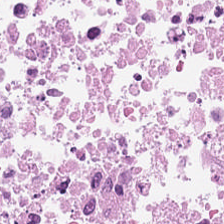H&E-stained tissue section.
Q: What tissue is shown?
A: The field shows cellular debris.
